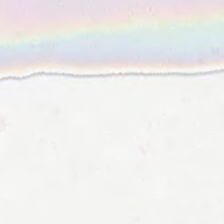H&E-stained tissue section · FFPE tissue section · brightfield.
Empty field — background (no tissue).
